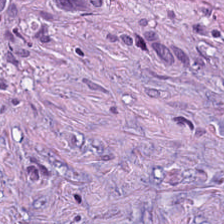H&E-stained tissue section; FFPE tissue section; 224×224 px tile — Predominantly desmoplastic stroma.
